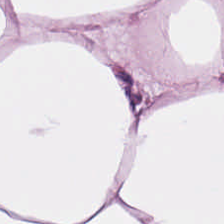0.5 microns per pixel. 224×224 px tile. H&E-stained tissue section.
This field is adipose tissue.
